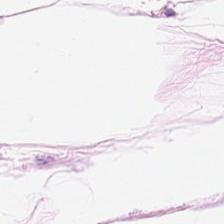20× equivalent magnification · hematoxylin-and-eosin stained section. Q: What type of tissue is this?
A: This is fat tissue.
